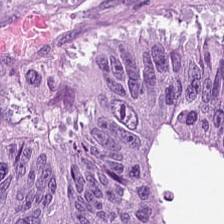Hematoxylin-and-eosin section: malignant epithelium.
